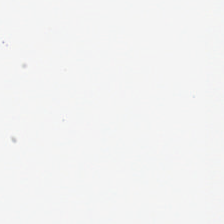H&E stain · formalin-fixed paraffin-embedded section.
Q: Classify this patch.
A: The field shows background.
